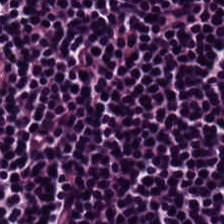Impression — lymphocytic infiltrate.
